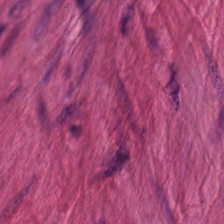H&E.
Q: What tissue is shown?
A: It is muscularis.
